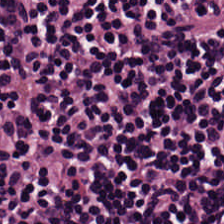Hematoxylin-and-eosin stained section. This field is lymphocytes.
